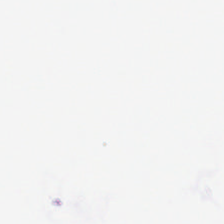WSI patch · hematoxylin-and-eosin stained section.
This field is background (no tissue).
